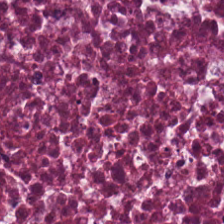Hematoxylin-and-eosin stained section.
Q: What tissue is shown?
A: This is debris.
